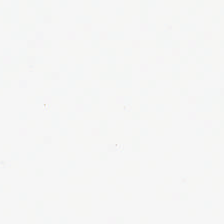This patch shows no tissue.
